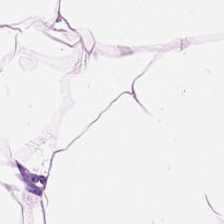Finding → fat tissue.
